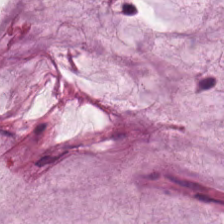The tissue here is mucus.
